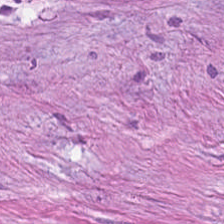Brightfield microscopy; H&E-stained tissue section; FFPE — This patch shows tumor stroma.
